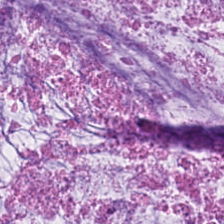Hematoxylin-and-eosin section: mucus.
